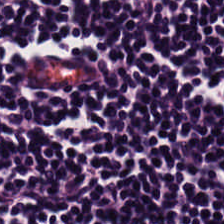H&E. Showing lymphocyte aggregate.
